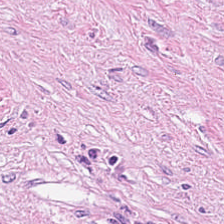Hematoxylin-and-eosin stained section — This field is desmoplastic stroma.
